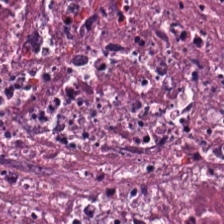H&E — The tissue here is cellular debris.
